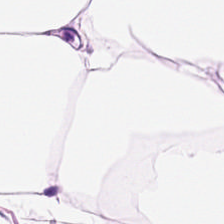{"tissue_type": "adipose"}
